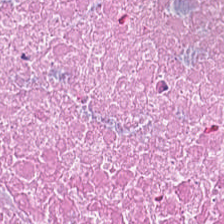Stain: H&E-stained tissue section.
Tissue: debris.
